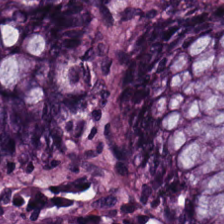Hematoxylin-and-eosin stained section.
Q: What does this patch show?
A: It is benign colonic mucosa.
